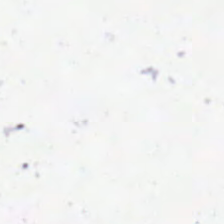Hematoxylin-and-eosin stained section. 0.5 µm per pixel. No tissue present; background only.
